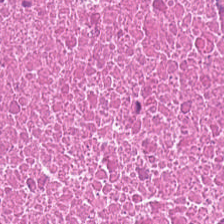H&E · brightfield microscopy — Q: What does this patch show?
A: The field shows debris.
